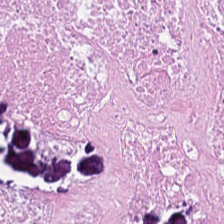H&E stain; 224×224 pixel tile. Q: What does this patch show?
A: It is necrotic debris.
